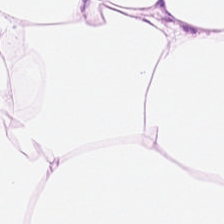Hematoxylin and eosin.
Impression — adipocytes.
